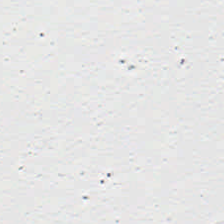The classification is empty background.
